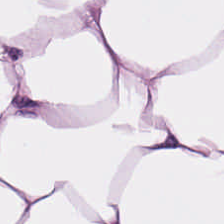H&E — Q: What is shown here?
A: The field shows adipocytes.
